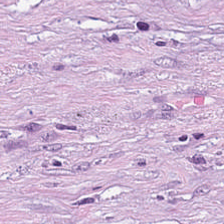H&E. Tissue class: desmoplastic stroma.
